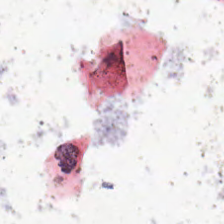Q: What is shown in this field?
A: This is background (no tissue).
